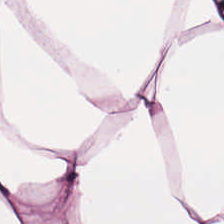Q: What is shown here?
A: Adipose.
